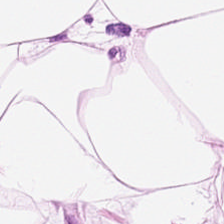H&E-stained tissue section.
Classification — adipose.
